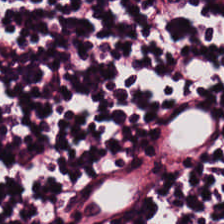Hematoxylin and eosin; whole-slide-image patch; 0.5 µm per pixel.
The predominant tissue is lymphocytes.
